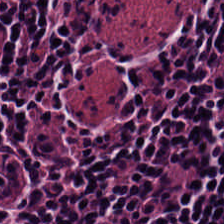H&E · brightfield. The tissue here is lymphocyte aggregate.
